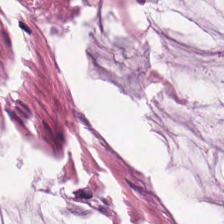FFPE tissue section; H&E stain. Tissue type: mucus.
